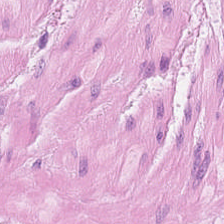H&E · whole-slide-image patch. The tissue type is smooth-muscle tissue.
